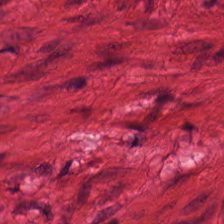Hematoxylin-and-eosin stained section — Predominant tissue — smooth muscle.
